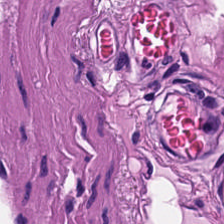H&E — The tissue here is muscularis.
